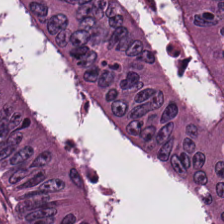H&E stain.
Q: Identify the tissue.
A: Malignant epithelium.
